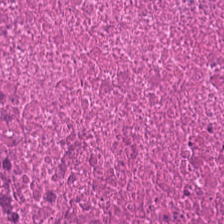H&E. 224×224 px tile. Tissue type: necrotic debris.
